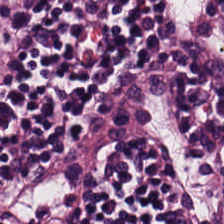20× equivalent magnification. Hematoxylin-and-eosin stained section. Predominant tissue — lymphocytes.
